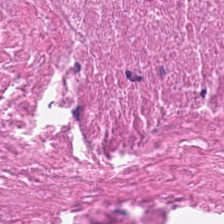224×224 pixel tile · H&E · 0.5 microns per pixel — Tissue class: necrotic debris.
